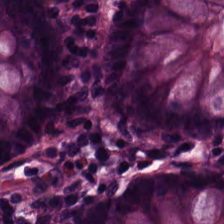Q: What tissue is shown?
A: The field shows benign colonic mucosa.
